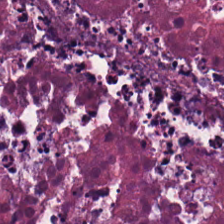H&E-stained tissue section.
This field is debris.
